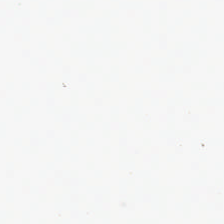Field content = no tissue.
